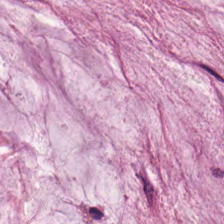H&E stain. 20× equivalent magnification — Tissue — mucus.
